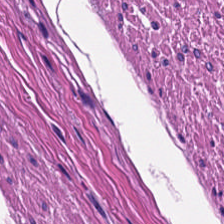FFPE tissue section; hematoxylin-and-eosin stained section; brightfield.
Predominantly smooth muscle.
